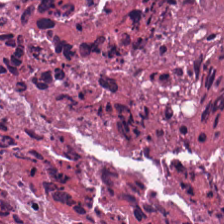H&E-stained tissue section.
Classification — necrotic debris.
